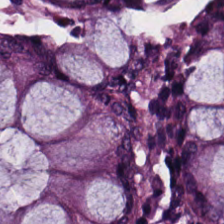WSI patch; H&E stain. Q: What is shown here?
A: This is non-neoplastic colon mucosa.
